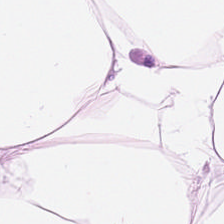224×224 px tile; 0.5 µm per pixel; H&E-stained tissue section. This patch shows adipocytes.
